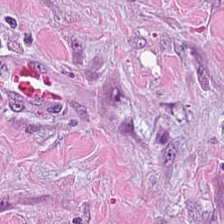Tissue type: tumor stroma.
